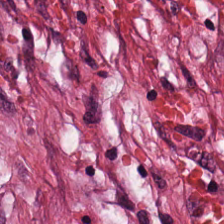Stain: H&E stain.
Acquisition: WSI patch.
Classification: tumor stroma.
